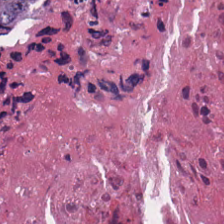Brightfield microscopy. H&E-stained tissue section. 0.5 µm/px.
Q: What is the predominant tissue type?
A: This is cellular debris.
